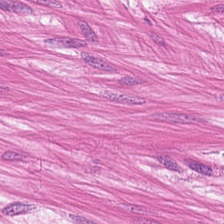Formalin-fixed paraffin-embedded section · hematoxylin and eosin — Tissue type: smooth-muscle tissue.
